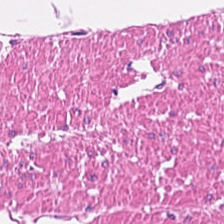Hematoxylin-and-eosin stained section; 224×224 pixel tile — Tissue type: smooth muscle.
